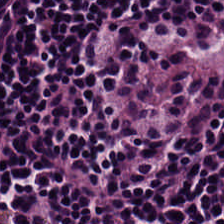H&E-stained tissue section · brightfield microscopy · 0.5 µm/px. Q: What is shown in this field?
A: This is lymphocytes.
